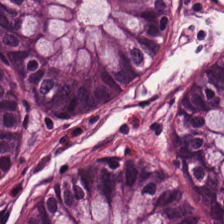Hematoxylin and eosin. Showing normal colon mucosa.
